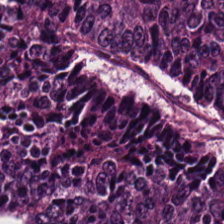The predominant tissue is tumor epithelium.
